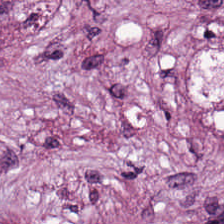H&E.
Tumor stroma.
